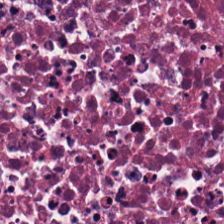224×224 pixel tile; brightfield microscopy; hematoxylin and eosin. The tissue type is necrotic debris.
